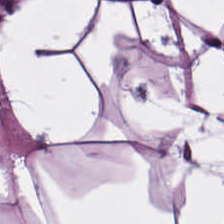H&E. FFPE tissue section — Histology — fat tissue.
